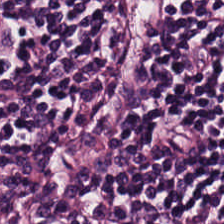Hematoxylin and eosin — Showing lymphocytes.
